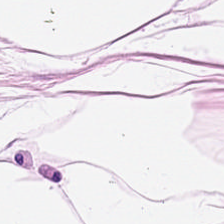224×224 px tile. Hematoxylin and eosin.
{"tissue_type": "adipose"}
